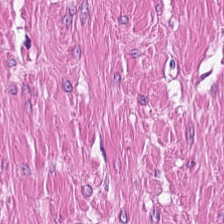Hematoxylin and eosin · 0.5 µm/px · 224×224 px tile — The predominant tissue is smooth muscle.
